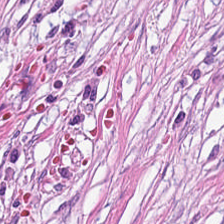20× equivalent magnification. H&E-stained tissue section — Q: What does this patch show?
A: This is cancer-associated stroma.
